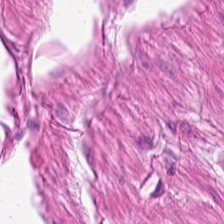H&E-stained tissue section. Finding — smooth-muscle tissue.
